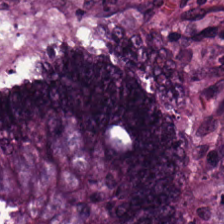H&E-stained tissue section.
Predominantly colorectal adenocarcinoma.
